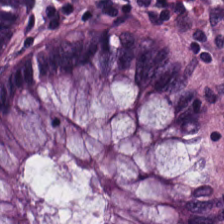H&E — The tissue here is non-neoplastic colon mucosa.
